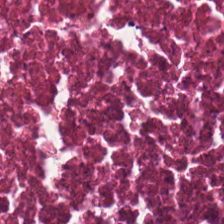0.5 µm/px · H&E-stained tissue section. Q: What is shown in this field?
A: The field shows necrotic debris.
